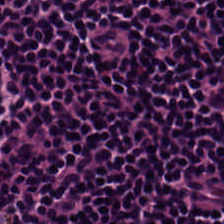H&E stain.
Impression → lymphocytic infiltrate.
